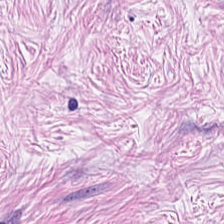Cancer-associated stroma.
